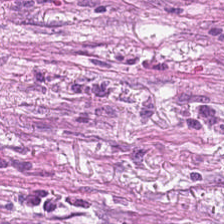H&E stain · 224×224 pixel tile · 0.5 µm/px — {"tissue_type": "desmoplastic stroma"}
